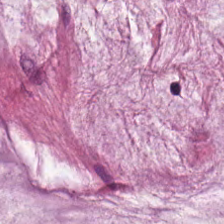224×224 px tile. H&E — This field is extracellular mucin.
